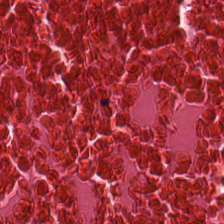H&E — This patch shows necrotic debris.
